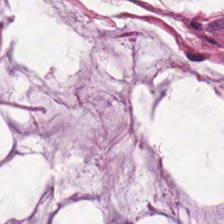Stain: hematoxylin-and-eosin stained section.
Preparation: formalin-fixed paraffin-embedded section.
Tissue class: mucus.
